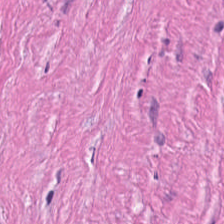Stain: hematoxylin-and-eosin stained section.
Resolution: 0.5 microns per pixel.
Tile size: 224×224 pixel tile.
Tissue class: desmoplastic stroma.
